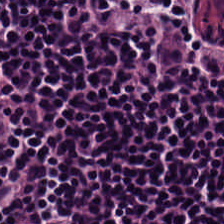H&E stain.
Histology → lymphocytes.
